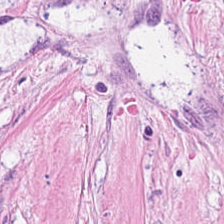H&E stain · FFPE · whole-slide-image patch.
Predominant tissue = desmoplastic stroma.
